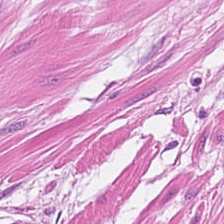Muscularis.
